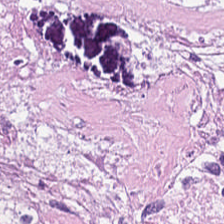Hematoxylin and eosin — The tissue type is cellular debris.
